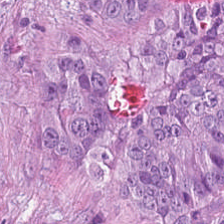Hematoxylin-and-eosin stained section — This field is adenocarcinoma.
